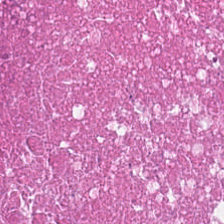Q: What tissue is shown?
A: It is debris.
